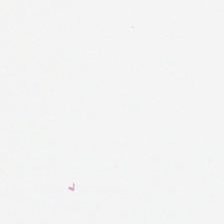H&E stain.
Background.
